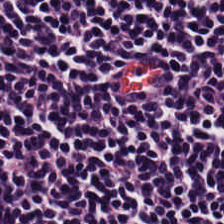Hematoxylin and eosin. 0.5 µm/px.
Classification — lymphocyte aggregate.
